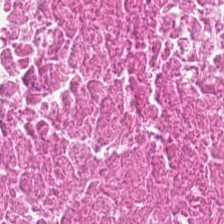Hematoxylin-and-eosin stained section · FFPE tissue section. Necrotic debris.
